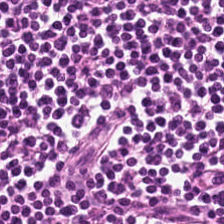FFPE; H&E — The tissue here is lymphocytes.
